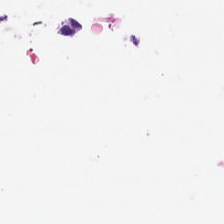H&E stain.
Q: What is shown in this field?
A: It is no tissue.
